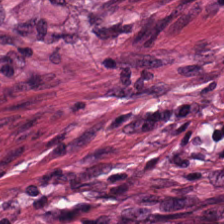H&E. This patch shows cancer-associated stroma.
